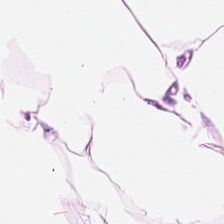Hematoxylin and eosin.
Adipose.
